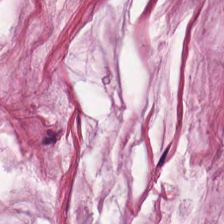H&E-stained tissue section — Predominantly mucus.
